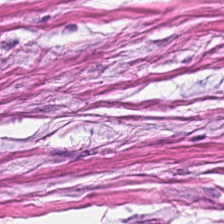0.5 µm/px. Hematoxylin and eosin — Predominantly desmoplastic stroma.
